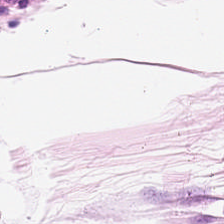Hematoxylin-and-eosin stained section. Predominantly adipose tissue.
